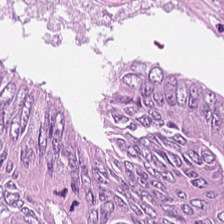Tissue class: malignant epithelium.
